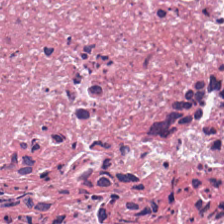Hematoxylin-and-eosin stained section — Q: Identify the tissue.
A: Cellular debris.
